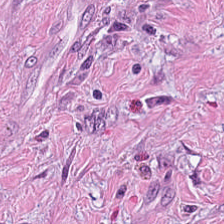The tissue type is tumor-associated stroma.
